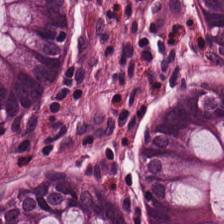Tissue = normal colonic mucosa.
